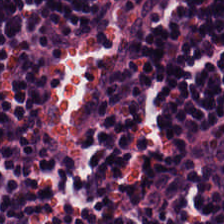H&E-stained tissue section — Predominantly lymphoid infiltrate.
